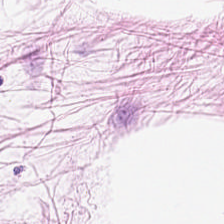H&E stain.
Predominantly adipose.
